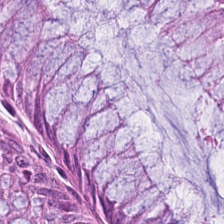Hematoxylin-and-eosin section: normal colon mucosa.
